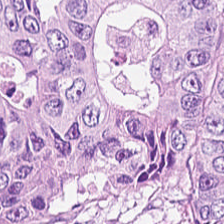Stain: hematoxylin and eosin.
Resolution: 0.5 microns per pixel.
Tile size: 224×224 px patch.
Tissue class: colorectal adenocarcinoma epithelium.
